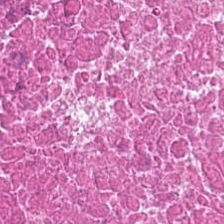The predominant tissue is necrotic debris.
